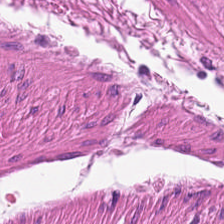Hematoxylin and eosin. 20× equivalent magnification — This patch shows muscularis.
